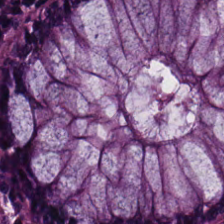H&E-stained tissue section.
Q: What does this patch show?
A: The field shows normal colonic mucosa.
